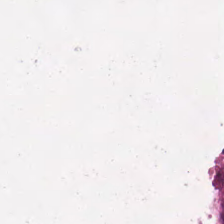Brightfield microscopy; hematoxylin and eosin; formalin-fixed paraffin-embedded section. Q: What type of tissue is this?
A: The field shows necrotic debris.
